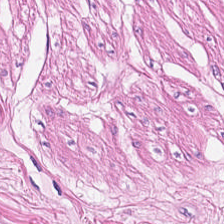FFPE tissue section. H&E. Whole-slide-image patch. This field is muscularis.
